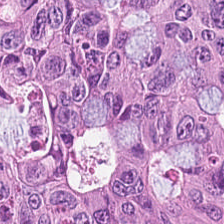Hematoxylin-and-eosin stained section.
Impression → adenocarcinoma.
